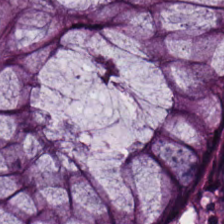The tissue is benign colonic mucosa.
